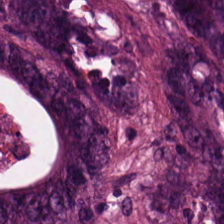H&E. Tumor epithelium.
